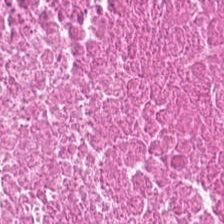Stain: hematoxylin-and-eosin stained section.
Tile size: 224×224 px tile.
Predominant tissue: debris.
